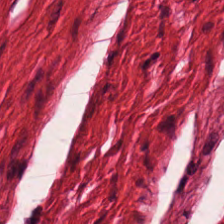Stain: H&E-stained tissue section.
Predominant tissue: muscularis.
